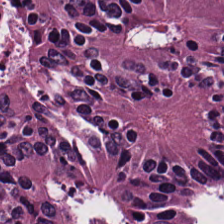Stain: H&E stain.
Resolution: 0.5 µm per pixel.
Preparation: FFPE.
Classification: colorectal adenocarcinoma.
